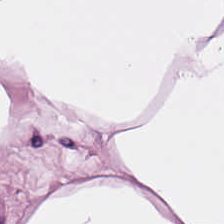H&E-stained tissue section.
The tissue type is adipose.
